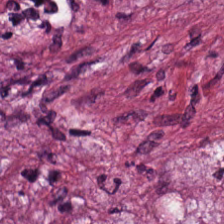Stain: hematoxylin and eosin.
Classification: cancer-associated stroma.
